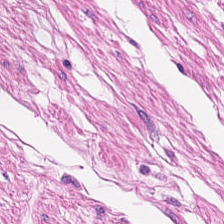Stain: H&E stain.
Resolution: 0.5 µm per pixel.
Acquisition: WSI patch.
Classification: muscularis.
